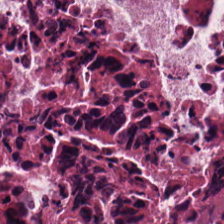H&E-stained tissue section — Predominantly necrotic debris.
